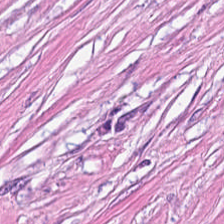This patch shows tumor-associated stroma.
